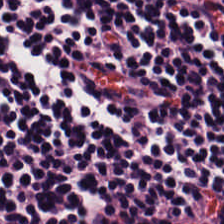Stain: hematoxylin-and-eosin stained section.
Tissue class: lymphocytes.
